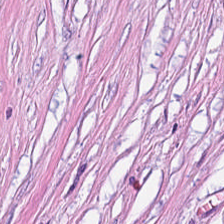The tissue is tumor stroma.
